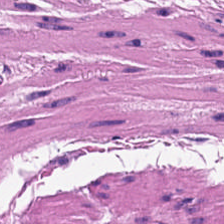224×224 px patch; whole-slide-image patch; H&E-stained tissue section — Q: What is shown here?
A: The field shows smooth muscle.
